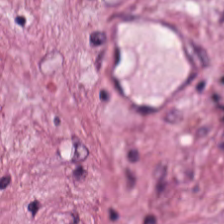H&E-stained section; the field shows tumor stroma.
